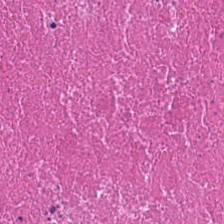Whole-slide-image patch · H&E stain · 20× equivalent magnification.
The tissue here is cellular debris.
